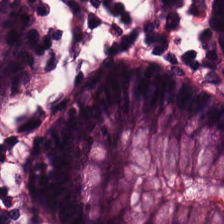Whole-slide-image patch. H&E-stained tissue section — Q: What is shown here?
A: The field shows normal colon mucosa.
